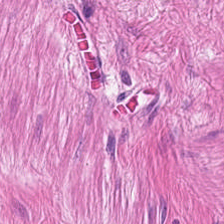Formalin-fixed paraffin-embedded section · hematoxylin and eosin. {"tissue_type": "smooth-muscle tissue"}
